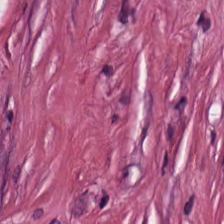H&E patch showing desmoplastic stroma.
